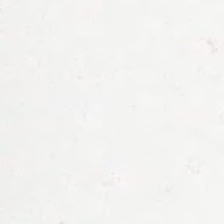{"content": "empty background"}
